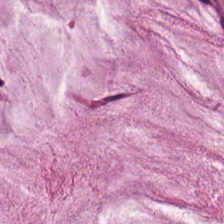H&E.
Tissue class = mucus.
